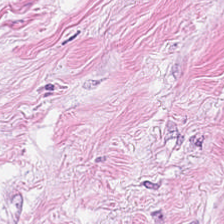{"tissue_type": "tumor stroma"}
